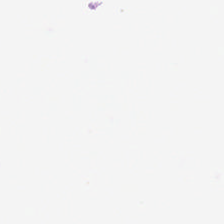FFPE tissue section. H&E stain. 224×224 pixel tile. Q: What does this patch show?
A: Background.
